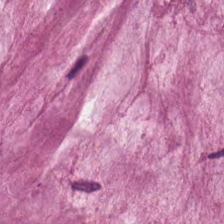FFPE · hematoxylin-and-eosin stained section · 224×224 px tile.
Classification: mucin.
